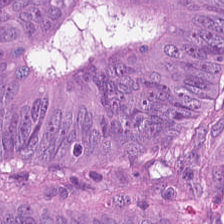0.5 µm/px; hematoxylin-and-eosin stained section. The tissue here is colorectal adenocarcinoma epithelium.
